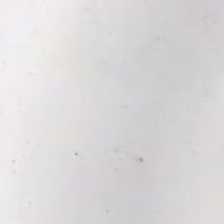Stain: hematoxylin-and-eosin stained section.
Field content: no tissue.
